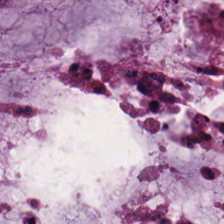Hematoxylin-and-eosin section: mucin.
